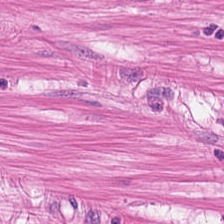H&E; 0.5 µm per pixel.
Impression → smooth muscle.
